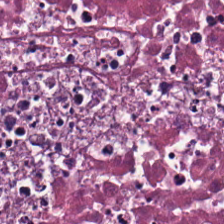The predominant tissue is necrotic debris.
